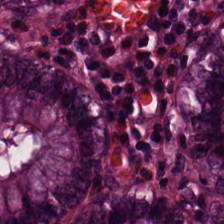224×224 px patch · hematoxylin and eosin. The predominant tissue is normal colon mucosa.
